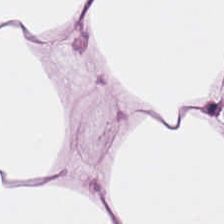H&E stain · 0.5 µm per pixel · whole-slide-image patch. Showing adipose tissue.
